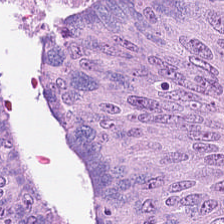H&E-stained tissue section — This field is colorectal adenocarcinoma.
